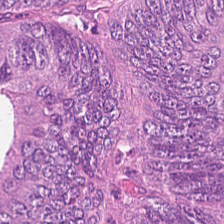Stain: H&E stain.
Tissue: colorectal adenocarcinoma epithelium.
